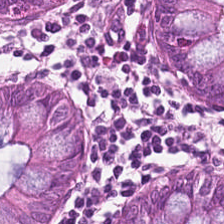Stain: hematoxylin and eosin.
Tile size: 224×224 px tile.
Predominant tissue: normal colonic mucosa.
